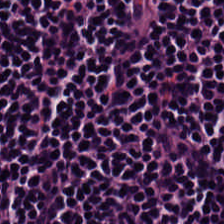Hematoxylin and eosin.
Predominantly lymphocytic infiltrate.
